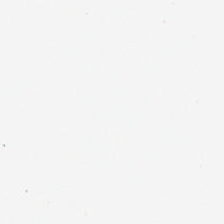Hematoxylin-and-eosin stained section.
Finding → no tissue.
